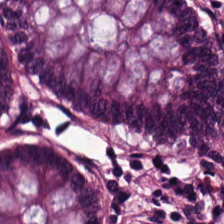The predominant tissue is benign colonic mucosa.
